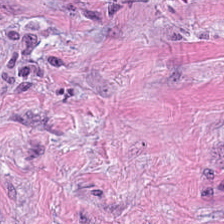H&E stain.
Finding — tumor stroma.
